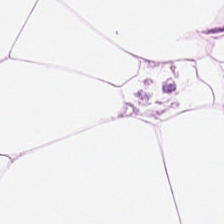H&E stain. Q: What is shown in this field?
A: It is adipocytes.
